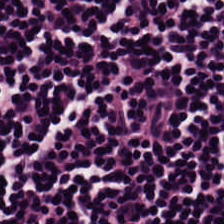Predominant tissue — lymphocyte aggregate.
